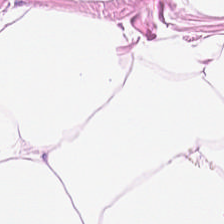H&E-stained tissue section. Predominant tissue = adipocytes.
